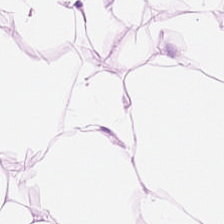H&E. {"tissue_type": "adipose tissue"}
